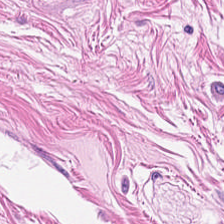Hematoxylin and eosin — The classification is muscularis.
